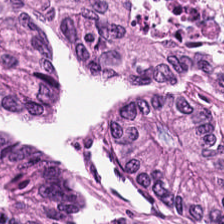H&E stain. WSI patch.
Predominant tissue = adenocarcinoma.
